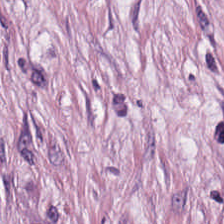H&E. Whole-slide-image patch. FFPE tissue section — {"tissue_type": "cancer-associated stroma"}
